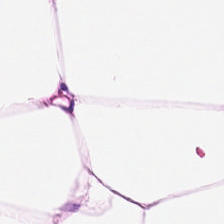Hematoxylin-and-eosin stained section.
Tissue — adipocytes.
